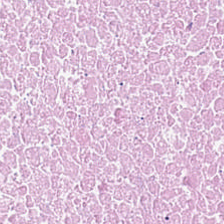H&E-stained tissue section — The classification is debris.
